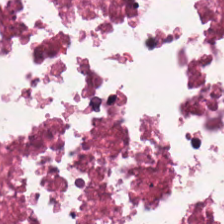Hematoxylin and eosin — Cellular debris.
